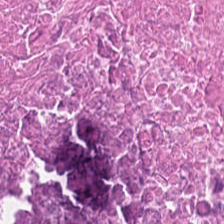Stain: H&E-stained tissue section.
Tile size: 224×224 px tile.
Classification: necrotic debris.
